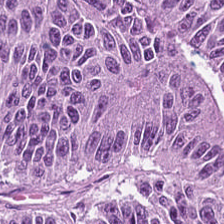Showing colorectal adenocarcinoma.
